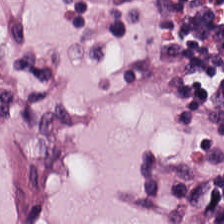H&E-stained tissue section.
The tissue here is lymphocyte aggregate.
